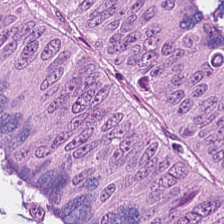H&E stain. This field is adenocarcinoma.
